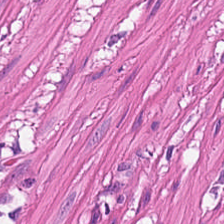H&E-stained tissue section. The classification is smooth muscle.
